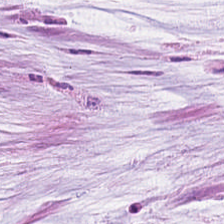Hematoxylin-and-eosin stained section — Predominantly mucus.
